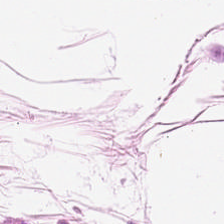Formalin-fixed paraffin-embedded section. H&E — Showing adipose tissue.
